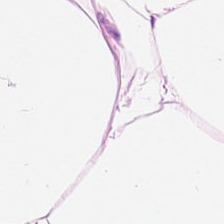Hematoxylin and eosin. 0.5 µm per pixel — Q: What is the predominant tissue type?
A: Adipose.
